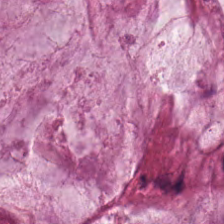The classification is extracellular mucin.
